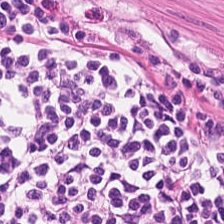H&E.
Tissue class — muscularis.
